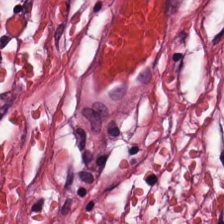Hematoxylin-and-eosin stained section. This field is cancer-associated stroma.
